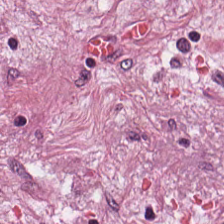Stain: H&E stain.
Classification: desmoplastic stroma.
